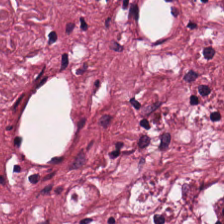Stain: H&E stain.
Classification: tumor stroma.
